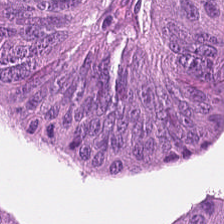Stain: H&E.
Tissue: malignant epithelium.
